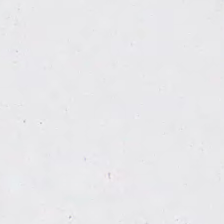Field content: background (no tissue).
